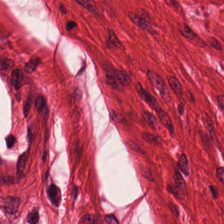Hematoxylin-and-eosin stained section. Formalin-fixed paraffin-embedded section — Impression → muscularis.
